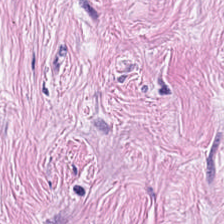224×224 pixel tile · hematoxylin-and-eosin stained section · FFPE. Tissue type — desmoplastic stroma.
